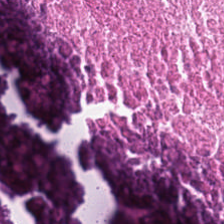Predominant tissue = necrotic debris.
